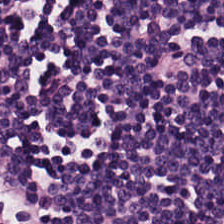Tissue type = lymphocytes.
